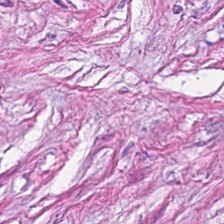Predominantly cancer-associated stroma.
